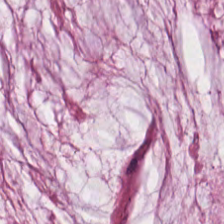Stain: hematoxylin and eosin.
Acquisition: brightfield.
Classification: mucus.
